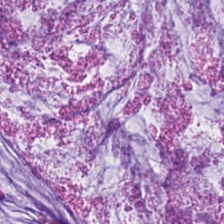Stain: H&E-stained tissue section.
Classification: extracellular mucin.
